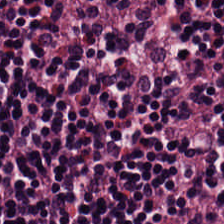Hematoxylin-and-eosin stained section; 20× equivalent magnification; 224×224 px tile.
Classification: lymphoid infiltrate.
